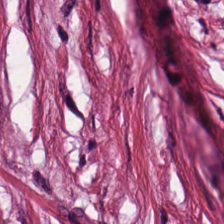Predominant tissue = desmoplastic stroma.
